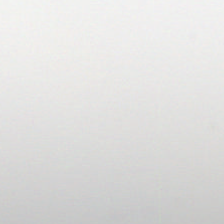H&E · WSI patch.
Field content: no tissue.
